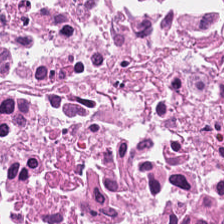H&E stain; WSI patch. Debris.
